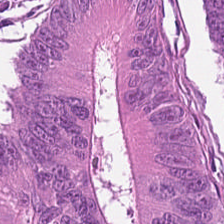The tissue is tumor epithelium.
